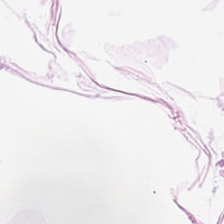H&E-stained tissue section. {"tissue_type": "adipose"}
